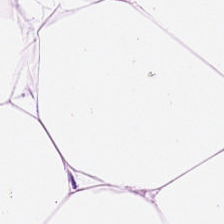H&E-stained tissue section · whole-slide-image patch · 20× equivalent magnification.
Adipose tissue.
